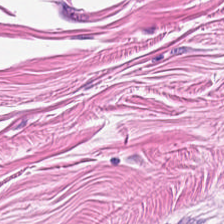H&E-stained tissue section.
Tissue type: smooth muscle.
